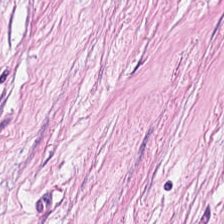Hematoxylin and eosin.
The tissue here is tumor stroma.
